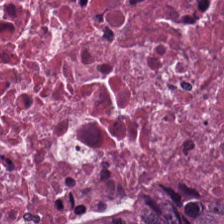Hematoxylin and eosin — Necrotic debris.
